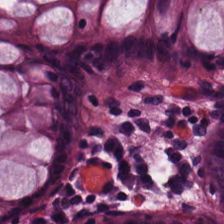H&E-stained tissue section; 224×224 px patch.
The predominant tissue is normal colon mucosa.
